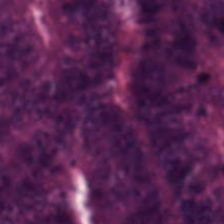Hematoxylin-and-eosin stained section.
The predominant tissue is colorectal adenocarcinoma.
